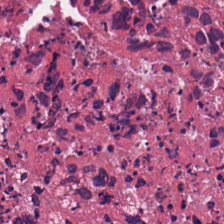Hematoxylin-and-eosin stained section — Tissue type = necrotic debris.
